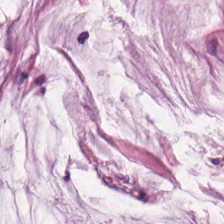224×224 px patch · hematoxylin-and-eosin stained section — Classification = extracellular mucin.
